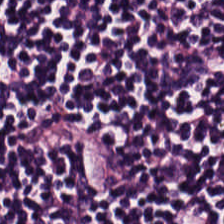H&E patch showing lymphoid infiltrate.
